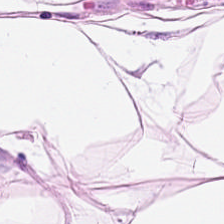Hematoxylin-and-eosin stained section.
Tissue: adipose.
